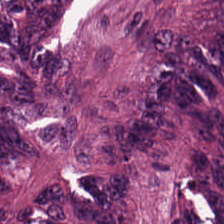224×224 pixel tile · hematoxylin-and-eosin stained section.
Classification: adenocarcinoma.
